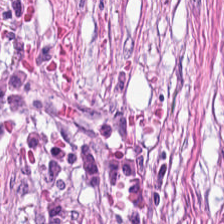H&E-stained tissue section. Formalin-fixed paraffin-embedded section.
Q: What is the predominant tissue type?
A: It is cancer-associated stroma.
